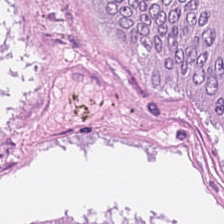20× equivalent magnification. Formalin-fixed paraffin-embedded section. H&E. Q: Identify the tissue.
A: It is colorectal adenocarcinoma.
